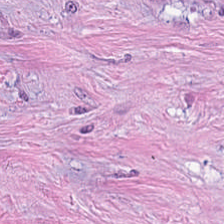Q: What does this patch show?
A: Cancer-associated stroma.
